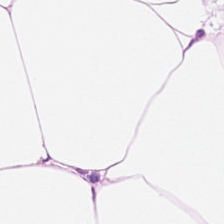Q: What tissue is shown?
A: The field shows adipocytes.
